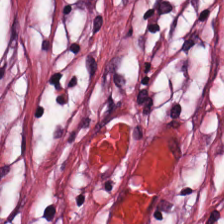FFPE tissue section. Hematoxylin-and-eosin stained section.
Q: What is shown in this field?
A: It is tumor stroma.
